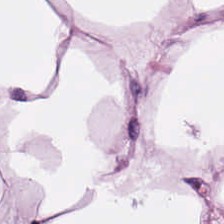Impression — adipose.
